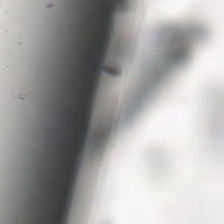Stain: H&E stain.
Content: empty background.
